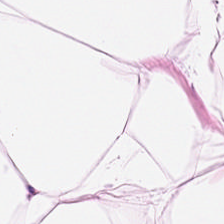H&E stain · whole-slide-image patch · 0.5 microns per pixel.
Tissue: adipocytes.
